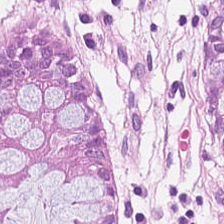H&E — This patch shows normal colonic mucosa.
